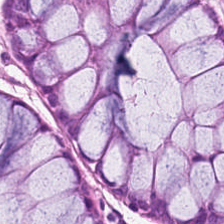The tissue here is non-neoplastic colon mucosa.
